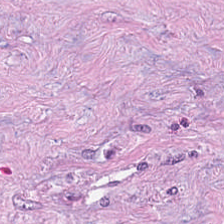Hematoxylin-and-eosin stained section — Desmoplastic stroma.
